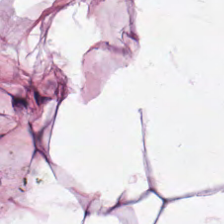Stain: hematoxylin-and-eosin stained section.
Predominant tissue: adipocytes.
